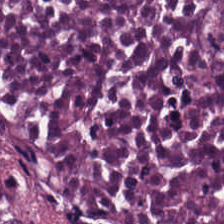Hematoxylin-and-eosin stained section.
Finding — debris.
